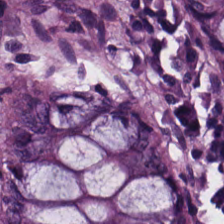Stain: hematoxylin and eosin.
Tissue class: normal colon mucosa.
